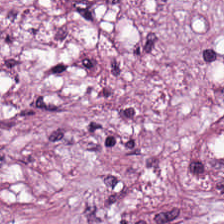Stain: hematoxylin-and-eosin stained section.
Predominant tissue: cancer-associated stroma.
